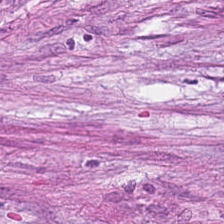H&E-stained tissue section. Formalin-fixed paraffin-embedded section. Showing tumor stroma.
